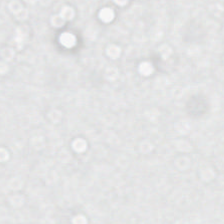H&E stain; formalin-fixed paraffin-embedded section; 0.5 µm per pixel — No tissue present; background only.
